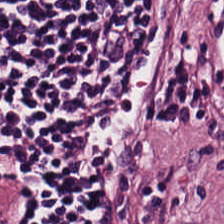Hematoxylin and eosin. FFPE. Impression → lymphoid infiltrate.
